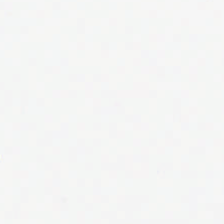Hematoxylin and eosin.
{"content": "no tissue"}
